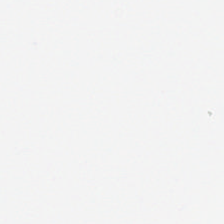H&E-stained tissue section — Empty field — empty background.
